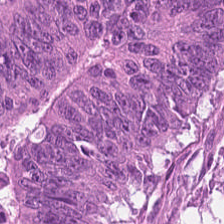Hematoxylin and eosin — This field is colorectal adenocarcinoma epithelium.
